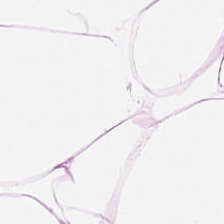Stain: H&E-stained tissue section.
Preparation: formalin-fixed paraffin-embedded section.
Classification: adipocytes.
